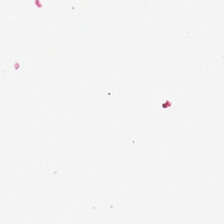Classification: background (no tissue).
